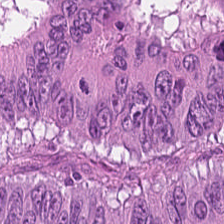Hematoxylin-and-eosin stained section. Formalin-fixed paraffin-embedded section. 0.5 µm/px.
The predominant tissue is colorectal adenocarcinoma.
